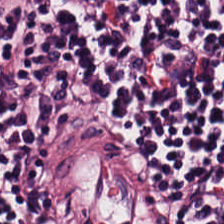Classification — lymphoid infiltrate.
